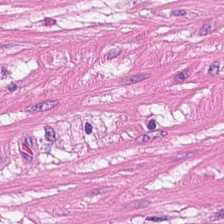H&E.
Tissue class: muscularis.
